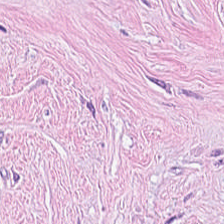Stain: H&E.
Tissue class: tumor-associated stroma.
